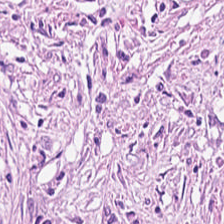H&E stain.
The tissue class is cancer-associated stroma.
